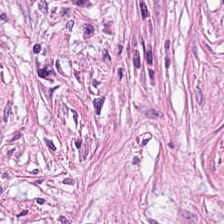H&E-stained tissue section. Histology — tumor-associated stroma.
